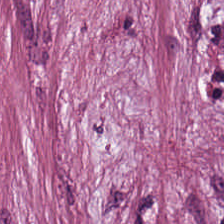Hematoxylin-and-eosin stained section. 224×224 px tile. WSI patch.
This field is cancer-associated stroma.
